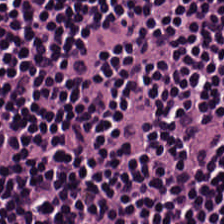224×224 pixel tile; hematoxylin and eosin.
Q: What does this patch show?
A: This is lymphocytes.
